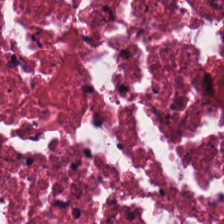224×224 px patch. Hematoxylin-and-eosin stained section. {"tissue_type": "cellular debris"}
